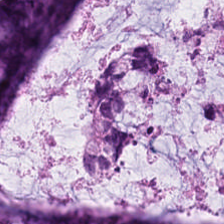Hematoxylin-and-eosin stained section. Predominantly extracellular mucin.
